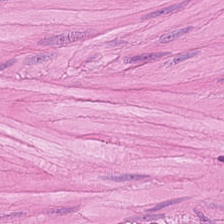H&E.
Q: What is shown here?
A: Smooth muscle.
